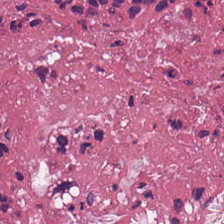Formalin-fixed paraffin-embedded section · 0.5 µm per pixel · hematoxylin-and-eosin stained section. Histology → cellular debris.
